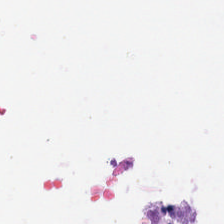Content: empty background.
